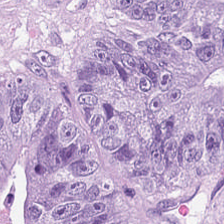20× equivalent magnification · H&E stain. The tissue here is colorectal adenocarcinoma epithelium.
